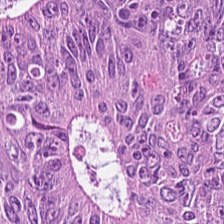H&E.
Q: What is shown in this field?
A: It is colorectal adenocarcinoma.
